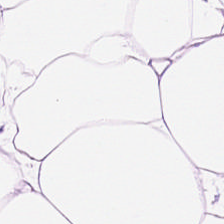H&E-stained tissue section — Q: Classify this patch.
A: It is adipocytes.
